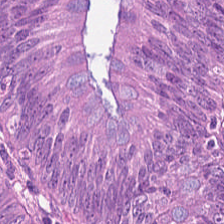H&E-stained tissue section. Adenocarcinoma.
